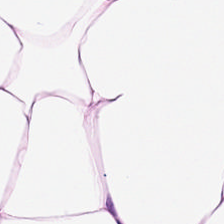224×224 px patch · hematoxylin and eosin.
The predominant tissue is adipocytes.
